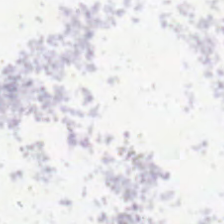Hematoxylin and eosin. Content = background.
